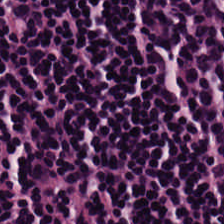H&E.
Q: What is shown here?
A: Lymphocyte aggregate.
